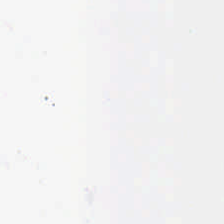H&E.
Empty background.
